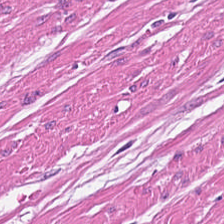Stain: hematoxylin-and-eosin stained section.
Acquisition: brightfield.
Tissue class: smooth muscle.
